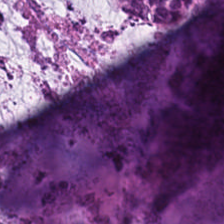WSI patch · hematoxylin and eosin — This patch shows extracellular mucin.
